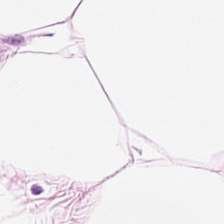H&E patch showing adipose.
